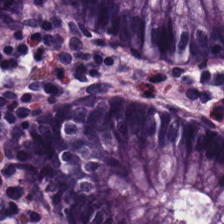224×224 pixel tile; hematoxylin-and-eosin stained section; 0.5 µm/px. Showing benign colonic mucosa.
